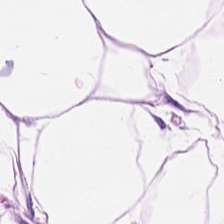H&E-stained tissue section. Histology → adipose tissue.
